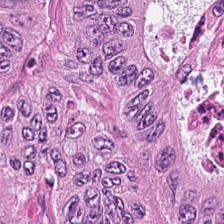WSI patch · H&E stain.
Showing tumor epithelium.
